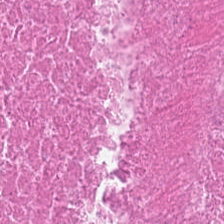Impression — debris.
